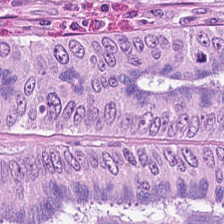H&E; brightfield — This field is tumor epithelium.
